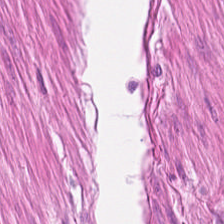Stain: H&E stain.
Preparation: formalin-fixed paraffin-embedded section.
Tissue class: smooth muscle.
